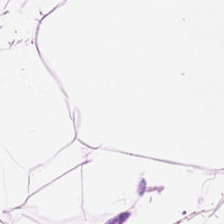20× equivalent magnification. H&E-stained tissue section. Finding — fat tissue.
